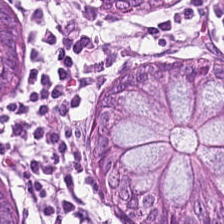Hematoxylin and eosin.
Q: What does this patch show?
A: This is normal colon mucosa.
